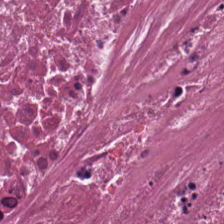Hematoxylin and eosin.
Q: What does this patch show?
A: It is necrotic debris.
